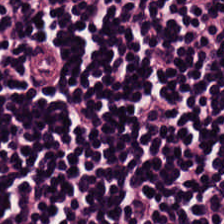H&E.
Q: What does this patch show?
A: It is lymphocyte aggregate.
